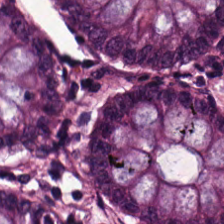0.5 µm per pixel; hematoxylin and eosin. Q: Classify this patch.
A: The field shows non-neoplastic colon mucosa.
